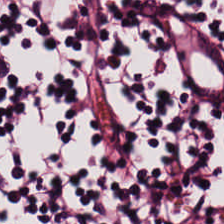Stain: H&E-stained tissue section.
Tissue: lymphocyte aggregate.
